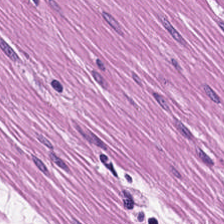0.5 microns per pixel · H&E. Finding — muscularis.
